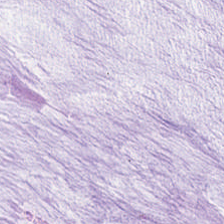Tissue class = mucin.
